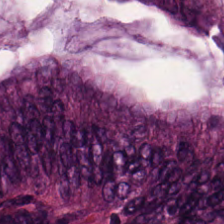Predominantly adenocarcinoma.
